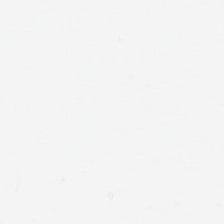Stain: H&E.
Content: empty background.
